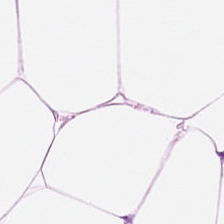FFPE tissue section. WSI patch. H&E stain.
Impression → adipocytes.
